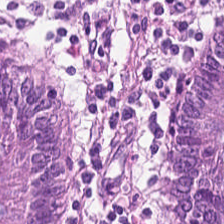H&E.
Tissue type = benign colonic mucosa.
